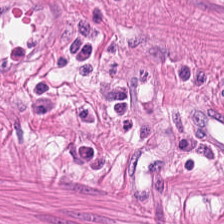Tissue class = smooth muscle.
